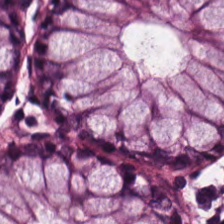Showing non-neoplastic colon mucosa.
